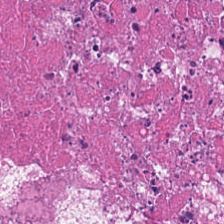224×224 px patch; hematoxylin and eosin.
The tissue is necrotic debris.
